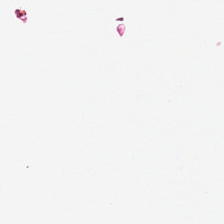H&E-stained tissue section · FFPE — No tissue present; background only.
